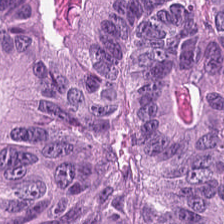{"tissue_type": "malignant epithelium"}
